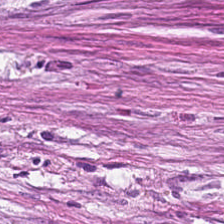Q: What tissue is shown?
A: This is tumor-associated stroma.
